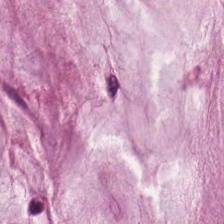FFPE · brightfield · H&E stain — Showing mucus.
